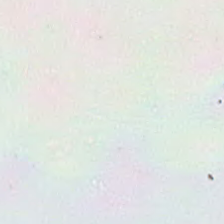Hematoxylin and eosin.
Classification: background (no tissue).
